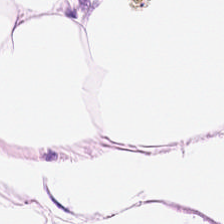Brightfield · 224×224 pixel tile · hematoxylin-and-eosin stained section. Predominant tissue — fat tissue.
